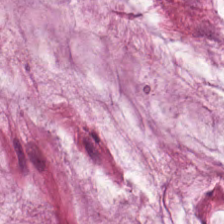H&E-stained tissue section.
Extracellular mucin.
